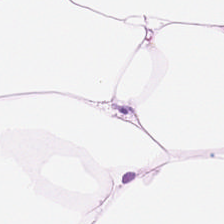H&E stain; 224×224 px tile; 0.5 µm/px.
The tissue class is adipocytes.
